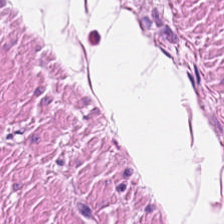FFPE tissue section. Hematoxylin and eosin. 224×224 px tile. This patch shows smooth-muscle tissue.
